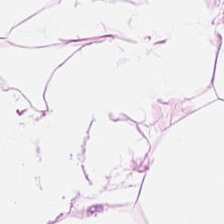H&E stain — Histology → adipocytes.
